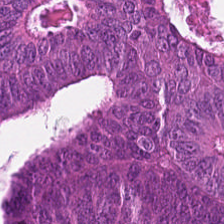FFPE tissue section; H&E-stained tissue section.
This field is tumor epithelium.
